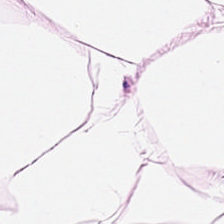H&E-stained tissue section. Tissue class — fat tissue.
